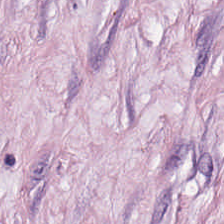Stain: hematoxylin and eosin.
Classification: tumor stroma.
